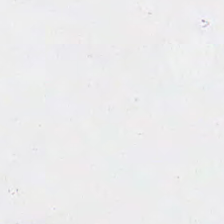Hematoxylin and eosin; 0.5 µm per pixel; brightfield — Q: What is shown here?
A: The field shows background.
